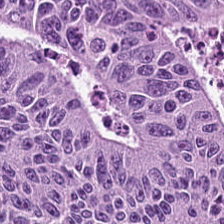Formalin-fixed paraffin-embedded section. H&E. Brightfield microscopy — Tissue type = colorectal adenocarcinoma.
